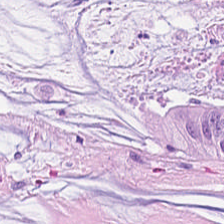Formalin-fixed paraffin-embedded section; H&E-stained tissue section.
Q: Identify the tissue.
A: This is mucin.
